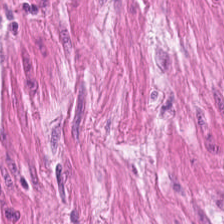Brightfield · H&E. Predominantly smooth-muscle tissue.
